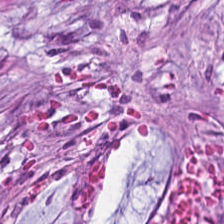H&E stain.
This field is tumor-associated stroma.
